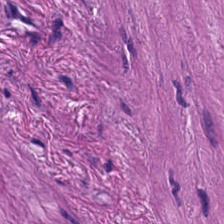224×224 px tile; H&E stain; 0.5 microns per pixel.
Showing smooth-muscle tissue.
